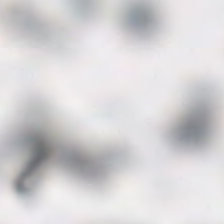FFPE; H&E-stained tissue section. Impression → background.
